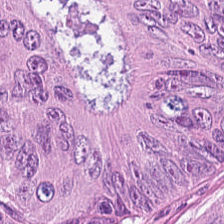Formalin-fixed paraffin-embedded section · H&E.
Classification = colorectal adenocarcinoma epithelium.
